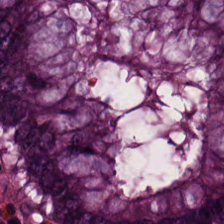Tissue class = benign colonic mucosa.
